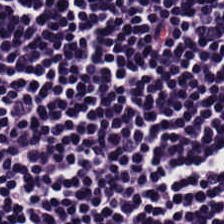Tissue class = lymphocytes.
